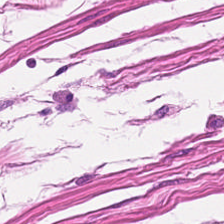H&E. Muscularis.
